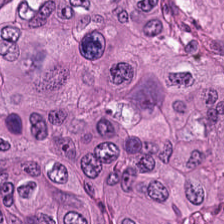This patch shows colorectal adenocarcinoma.
